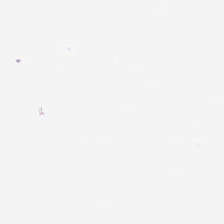No tissue present; background only.
